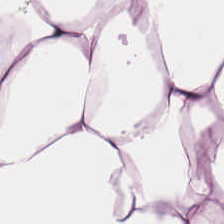Finding — adipose.
